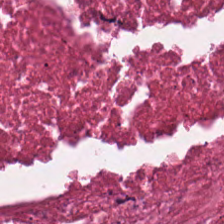Finding → cellular debris.
